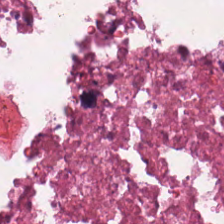H&E-stained tissue section; 224×224 px tile — Q: What is the predominant tissue type?
A: It is debris.
